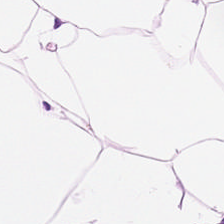H&E stain — Predominantly adipose tissue.
